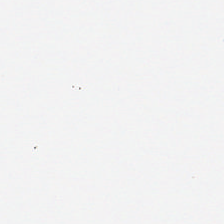Hematoxylin and eosin. Empty field — background (no tissue).
